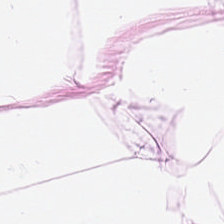Impression → adipocytes.
